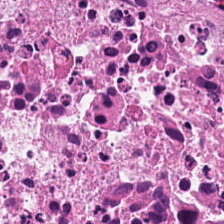0.5 µm per pixel. Hematoxylin and eosin. This field is debris.
